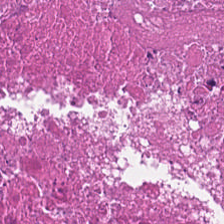Stain: H&E-stained tissue section.
Tissue type: cellular debris.
